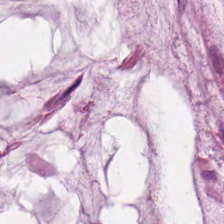H&E-stained tissue section; formalin-fixed paraffin-embedded section.
Predominant tissue — mucus.
